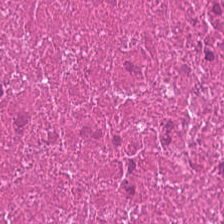H&E-stained tissue section.
Cellular debris.
